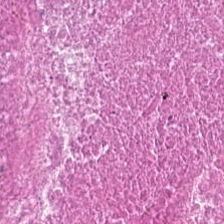H&E. Classification = cellular debris.
